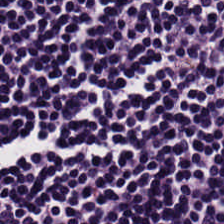Tissue type: lymphocytic infiltrate.
